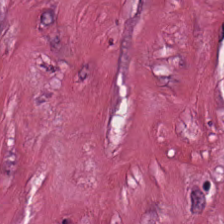H&E; 0.5 µm/px.
Q: What does this patch show?
A: The field shows desmoplastic stroma.
